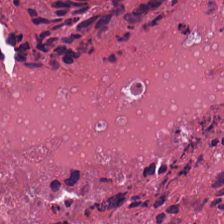Hematoxylin and eosin; 20× equivalent magnification; FFPE — Tissue — cellular debris.
